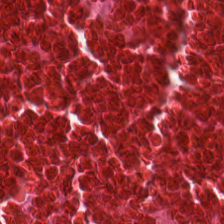Tissue = cellular debris.
